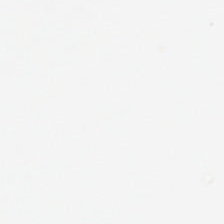Background (no tissue).
